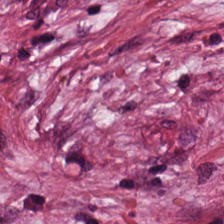Stain: H&E.
Predominant tissue: cancer-associated stroma.
